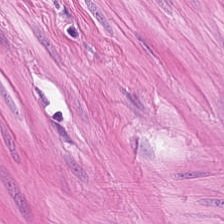FFPE. H&E-stained tissue section.
Q: What does this patch show?
A: This is smooth muscle.
